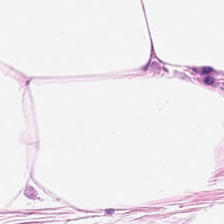FFPE · 224×224 px tile · hematoxylin-and-eosin stained section.
Tissue type = adipose.
